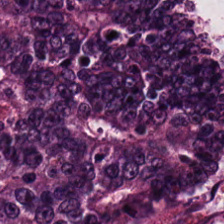Stain: hematoxylin-and-eosin stained section.
Tile size: 224×224 px tile.
Classification: tumor epithelium.
